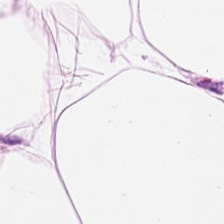H&E · FFPE · 224×224 px patch.
The predominant tissue is adipocytes.
